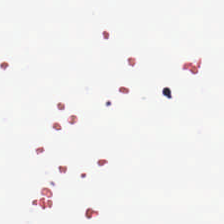Q: What does this patch show?
A: The field shows empty background.
